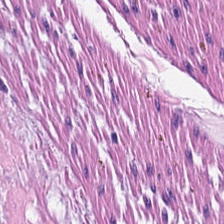H&E stain. The predominant tissue is smooth muscle.
